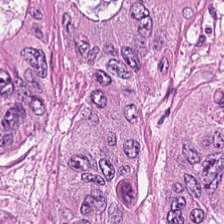H&E-stained tissue section. {"tissue_type": "tumor epithelium"}
